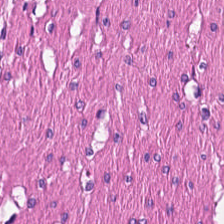Stain: H&E stain.
Tissue: smooth-muscle tissue.
